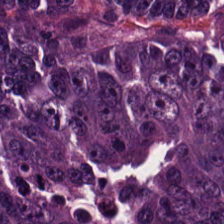Q: What is shown here?
A: It is colorectal adenocarcinoma epithelium.
